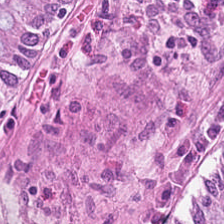Q: What is shown in this field?
A: This is non-neoplastic colon mucosa.
